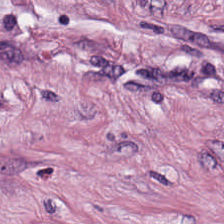H&E stain.
Histology — cancer-associated stroma.
